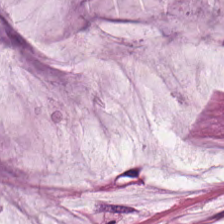Stain: H&E stain.
Tissue class: extracellular mucin.
